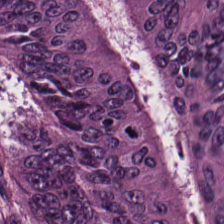Stain: H&E-stained tissue section.
Tissue type: malignant epithelium.
